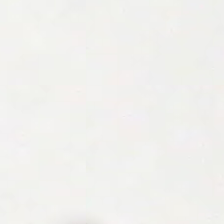Hematoxylin and eosin — Q: What is shown in this field?
A: It is background.
